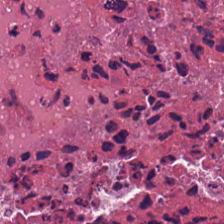Q: What tissue type is shown here?
A: Debris.
